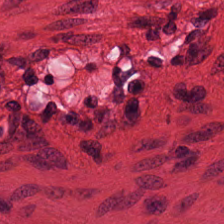The predominant tissue is muscularis.
